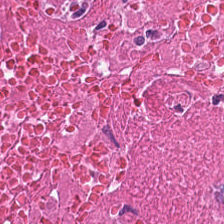20× equivalent magnification. Hematoxylin-and-eosin stained section.
{"tissue_type": "debris"}
